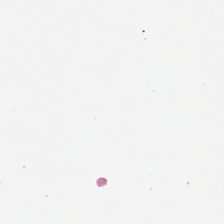H&E-stained tissue section. 0.5 µm per pixel. FFPE tissue section. Q: What does this patch show?
A: It is background.
